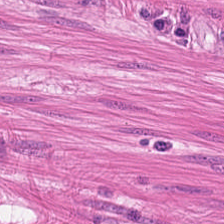Hematoxylin and eosin. Tissue class: smooth-muscle tissue.
